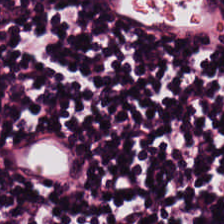Hematoxylin-and-eosin section: lymphocytes.
